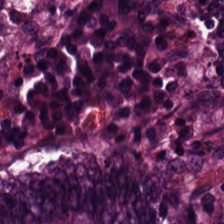H&E stain. 224×224 px tile. 0.5 µm/px — {"tissue_type": "colorectal adenocarcinoma epithelium"}
